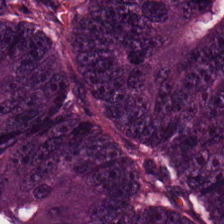H&E-stained tissue section — The predominant tissue is adenocarcinoma.
